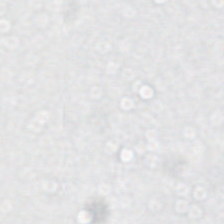Empty background.
